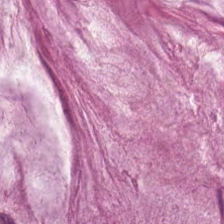Hematoxylin-and-eosin stained section — Showing mucus.
